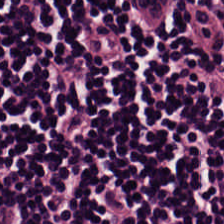224×224 pixel tile. Hematoxylin-and-eosin stained section.
Q: What tissue is shown?
A: Lymphocytes.
